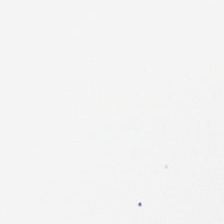Histology — empty background.
